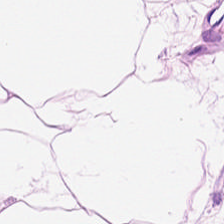The tissue is adipose.
